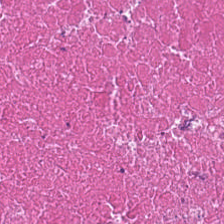Tissue type — debris.
